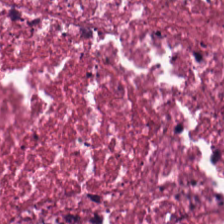Stain: H&E-stained tissue section.
Tissue: debris.
